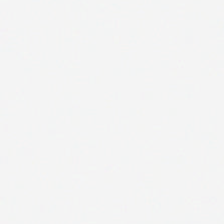Brightfield; FFPE tissue section; hematoxylin and eosin. Q: What is shown here?
A: Empty background.
